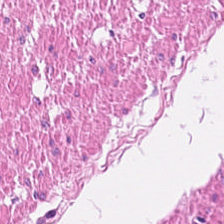The classification is smooth-muscle tissue.
